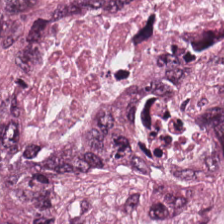Brightfield microscopy · formalin-fixed paraffin-embedded section · H&E-stained tissue section — The predominant tissue is colorectal adenocarcinoma epithelium.
